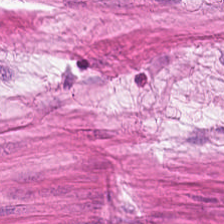H&E-stained tissue section.
Tissue = smooth-muscle tissue.
